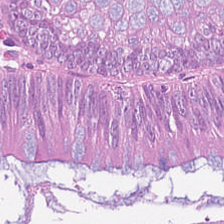Stain: H&E stain.
Tile size: 224×224 px patch.
Classification: malignant epithelium.
